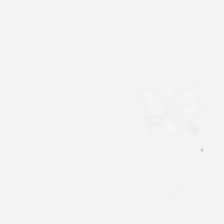FFPE tissue section; H&E; 224×224 pixel tile.
Content = background.
